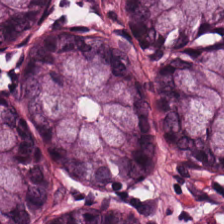Q: What is shown here?
A: The field shows non-neoplastic colon mucosa.
